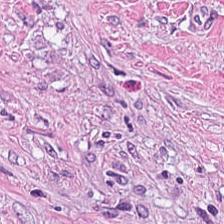H&E-stained tissue section; FFPE; 224×224 px tile — Tumor stroma.
